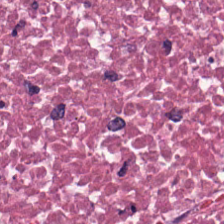Stain: H&E.
Acquisition: whole-slide-image patch.
Tile size: 224×224 px tile.
Classification: necrotic debris.
